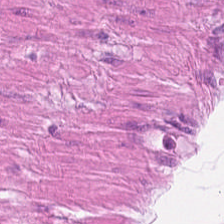224×224 px tile · H&E-stained tissue section. Predominant tissue — muscularis.
